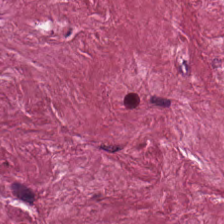The classification is tumor stroma.
